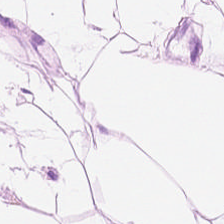H&E-stained tissue section. 0.5 µm per pixel.
Tissue type = fat tissue.
